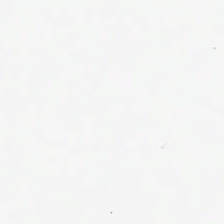20× equivalent magnification. H&E-stained tissue section. Brightfield microscopy.
No tissue present; background only.
